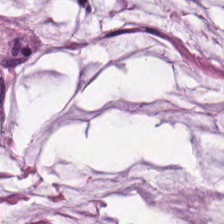Q: What is the predominant tissue type?
A: This is mucus.
